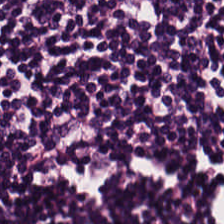H&E-stained tissue section; 0.5 µm/px. Impression → lymphocyte aggregate.
